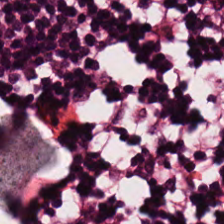H&E-stained tissue section — Lymphoid infiltrate.
